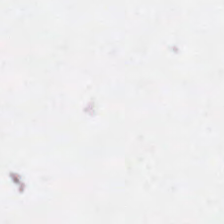Finding → no tissue.
